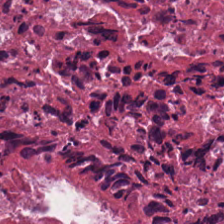Stain: hematoxylin-and-eosin stained section.
Acquisition: brightfield.
Resolution: 0.5 microns per pixel.
Predominant tissue: cellular debris.
